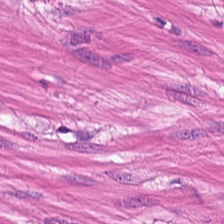H&E — Q: Identify the tissue.
A: The field shows muscularis.
